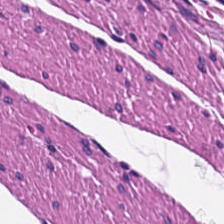H&E; FFPE tissue section.
Q: What tissue is shown?
A: It is smooth muscle.
